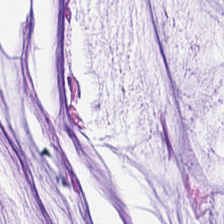H&E-stained tissue section; 224×224 px patch — Predominant tissue — mucin.
